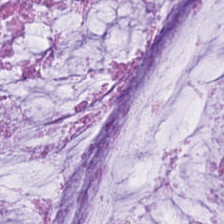Stain: H&E.
Tile size: 224×224 px tile.
Tissue class: mucin.
